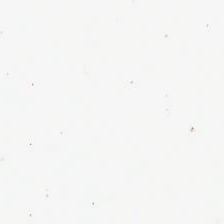Stain: hematoxylin and eosin.
Classification: background (no tissue).
